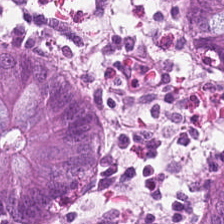Hematoxylin-and-eosin stained section.
Impression → normal colonic mucosa.
